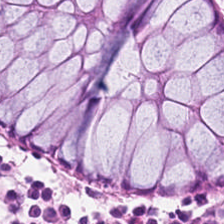Whole-slide-image patch. H&E-stained tissue section. Formalin-fixed paraffin-embedded section — This field is normal colon mucosa.
